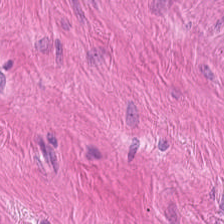H&E-stained tissue section — Predominant tissue = smooth-muscle tissue.
